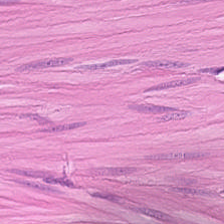Hematoxylin and eosin.
Tissue = muscularis.
